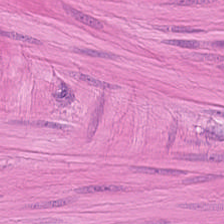Stain: H&E stain.
Tissue: smooth-muscle tissue.
